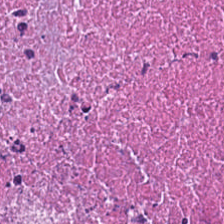The predominant tissue is necrotic debris.
